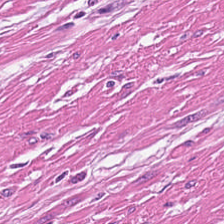H&E-stained tissue section. The predominant tissue is muscularis.
